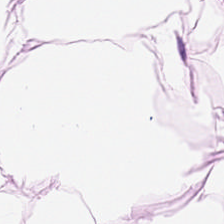Hematoxylin-and-eosin stained section · formalin-fixed paraffin-embedded section. The predominant tissue is adipose.
